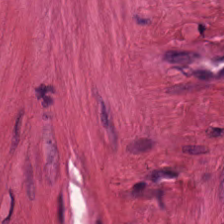Stain: H&E-stained tissue section.
Tissue class: muscularis.
